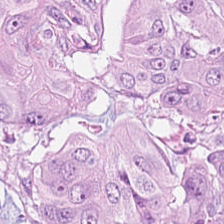Whole-slide-image patch · hematoxylin-and-eosin stained section. Q: What does this patch show?
A: Adenocarcinoma.
